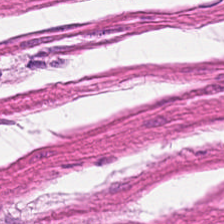Hematoxylin and eosin — Q: What is shown in this field?
A: Muscularis.
